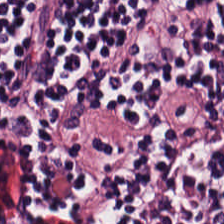Hematoxylin and eosin.
The predominant tissue is lymphocytes.
